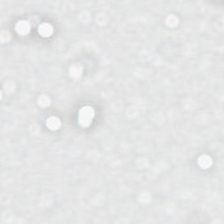H&E stain.
This patch shows background (no tissue).
